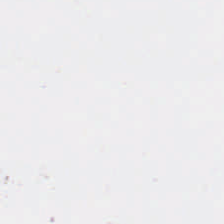Hematoxylin-and-eosin stained section. Q: What does this patch show?
A: This is empty background.
